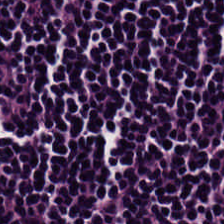Stain: H&E stain.
Tile size: 224×224 px patch.
Tissue: lymphocytes.
